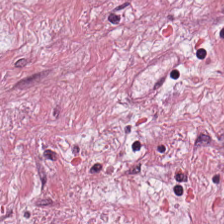Predominantly cancer-associated stroma.
